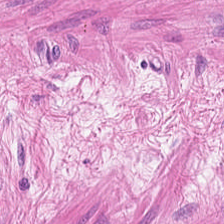Stain: H&E stain.
Classification: smooth-muscle tissue.
